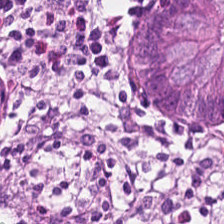H&E stain. 224×224 px patch.
Predominantly normal colon mucosa.
